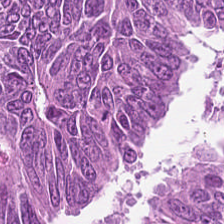Stain: H&E stain.
Tile size: 224×224 pixel tile.
Classification: colorectal adenocarcinoma epithelium.
